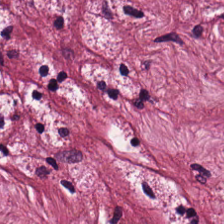WSI patch · 224×224 px patch · H&E stain.
Showing tumor stroma.
